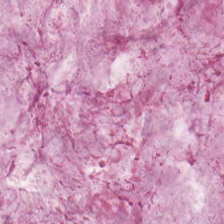Formalin-fixed paraffin-embedded section · hematoxylin and eosin — Impression → mucin.
